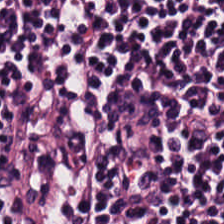Hematoxylin and eosin — The tissue here is lymphocytes.
